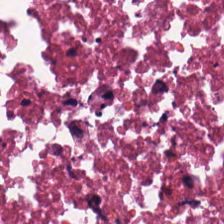H&E-stained tissue section. WSI patch — Finding → necrotic debris.
